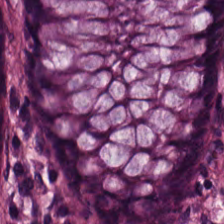Stain: H&E.
Acquisition: brightfield microscopy.
Tissue: normal colonic mucosa.
